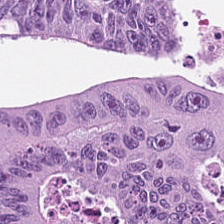FFPE tissue section · WSI patch · hematoxylin-and-eosin stained section — The predominant tissue is malignant epithelium.
